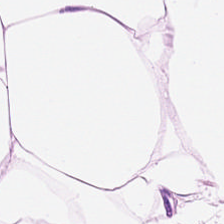H&E-stained tissue section. FFPE tissue section. The tissue is adipose.
